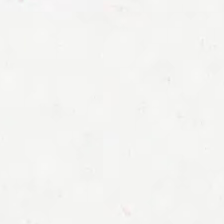H&E · 224×224 px patch.
Content: no tissue.
